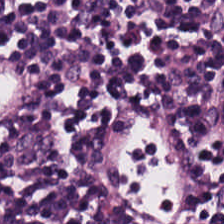H&E stain.
Classification — lymphocytes.
